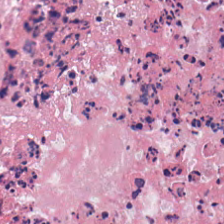Showing debris.
